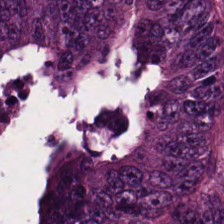H&E.
Tissue: tumor epithelium.
